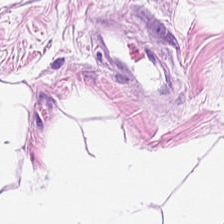Hematoxylin and eosin · 0.5 µm per pixel. Q: Identify the tissue.
A: Adipocytes.
